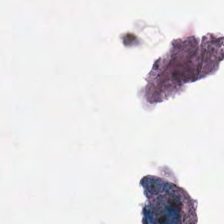Hematoxylin and eosin; FFPE; 0.5 microns per pixel — {"content": "empty background"}
